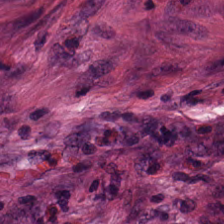H&E stain. Brightfield. {"tissue_type": "tumor-associated stroma"}
